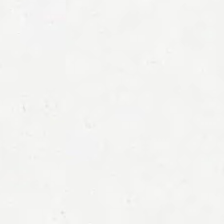H&E-stained tissue section — No tissue present; background only.
